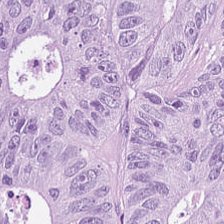Colorectal adenocarcinoma epithelium.
